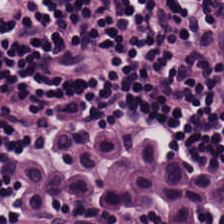FFPE tissue section; hematoxylin-and-eosin stained section.
Histology — lymphocytic infiltrate.
